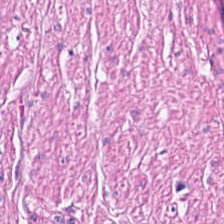H&E stain.
{"tissue_type": "smooth-muscle tissue"}
